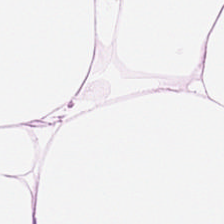Whole-slide-image patch; FFPE tissue section; hematoxylin-and-eosin stained section. {"tissue_type": "fat tissue"}
